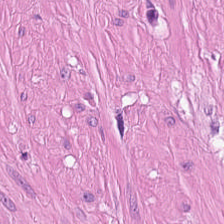Hematoxylin and eosin. Q: What is shown in this field?
A: It is smooth muscle.
